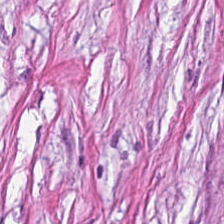Q: What type of tissue is this?
A: This is tumor stroma.
